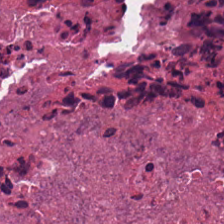Whole-slide-image patch; H&E stain — Showing necrotic debris.
